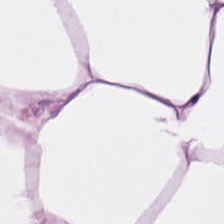Hematoxylin-and-eosin stained section. The tissue here is adipocytes.
